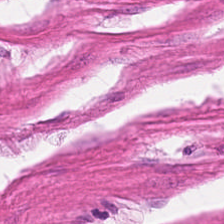224×224 px tile · FFPE tissue section · H&E stain — Tissue type — muscularis.
